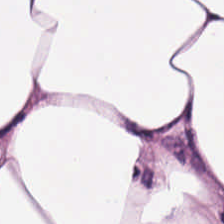{"tissue_type": "adipose tissue"}
